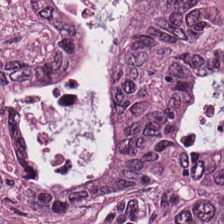Hematoxylin-and-eosin stained section. Tumor epithelium.
